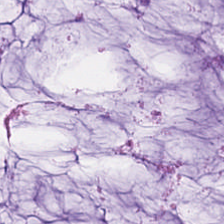20× equivalent magnification. H&E-stained tissue section — The tissue here is mucin.
